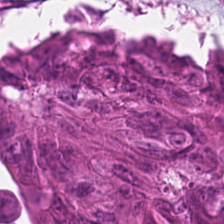0.5 µm/px · H&E stain — The tissue here is malignant epithelium.
